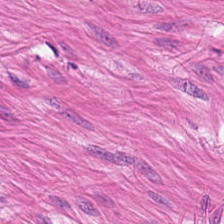Hematoxylin-and-eosin stained section — Tissue type: muscularis.
